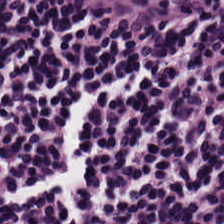H&E stain.
The predominant tissue is lymphocyte aggregate.
